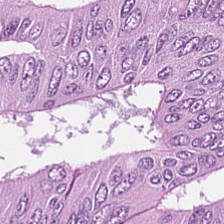H&E stain — Histology → malignant epithelium.
